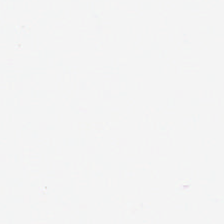0.5 µm per pixel · H&E stain · brightfield.
Empty field — no tissue.
